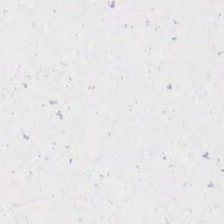H&E stain — Empty field — empty background.
